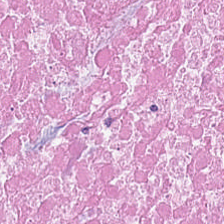H&E-stained tissue section showing necrotic debris.
